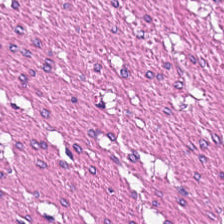0.5 microns per pixel. Hematoxylin and eosin — Tissue — muscularis.
